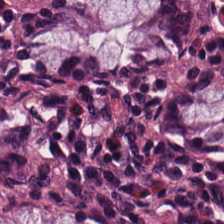Q: Classify this patch.
A: This is normal colon mucosa.
